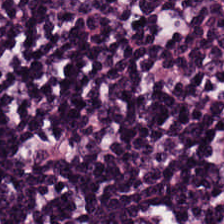FFPE tissue section · hematoxylin-and-eosin stained section.
This patch shows lymphoid infiltrate.
